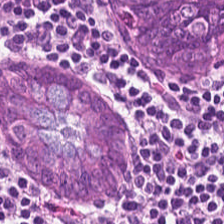H&E.
The tissue here is benign colonic mucosa.
